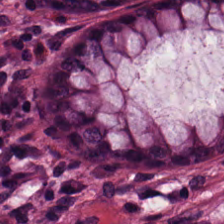The predominant tissue is non-neoplastic colon mucosa.
